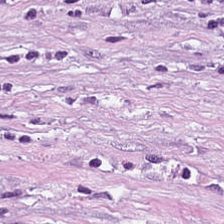Tissue class — cancer-associated stroma.
